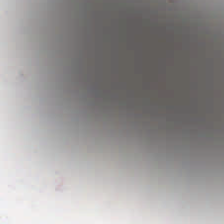H&E stain · FFPE · 224×224 px patch.
The classification is background.
